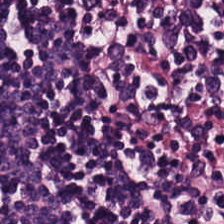Stain: H&E-stained tissue section.
Tissue type: lymphocyte aggregate.
